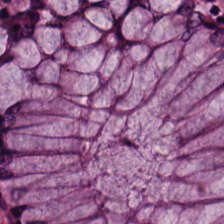Hematoxylin and eosin.
{"tissue_type": "normal colonic mucosa"}
